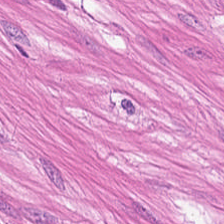H&E-stained tissue section showing smooth muscle.
